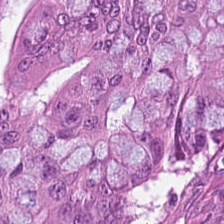H&E stain. {"tissue_type": "adenocarcinoma"}
